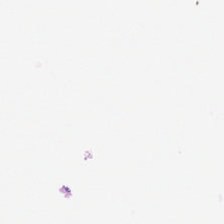H&E stain. 224×224 px patch — Finding → empty background.
